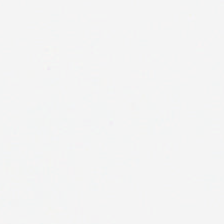Hematoxylin-and-eosin stained section · WSI patch — Empty background.
